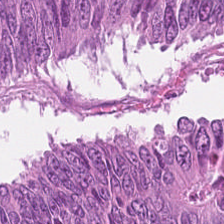Hematoxylin-and-eosin stained section — Q: Classify this patch.
A: Colorectal adenocarcinoma epithelium.
